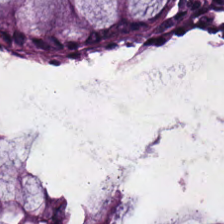H&E. WSI patch — The predominant tissue is normal colon mucosa.
